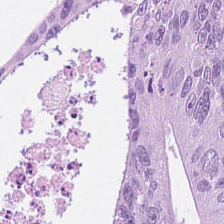Hematoxylin and eosin · WSI patch — Histology → adenocarcinoma.
